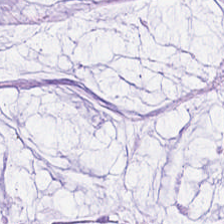Hematoxylin-and-eosin stained section.
The predominant tissue is mucus.
